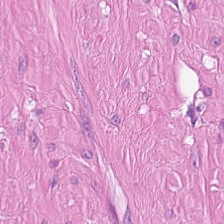Hematoxylin and eosin — This field is smooth-muscle tissue.
